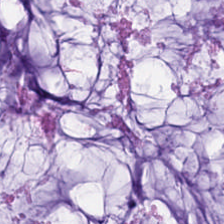Hematoxylin and eosin.
Predominant tissue: mucin.
